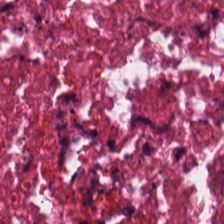H&E-stained section; the field shows debris.
